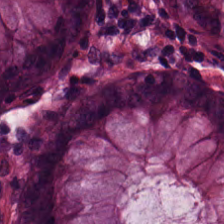H&E-stained tissue section · 20× equivalent magnification — Classification = normal colonic mucosa.
